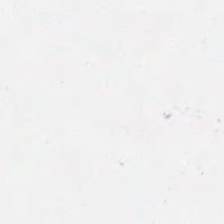Histology → no tissue.
